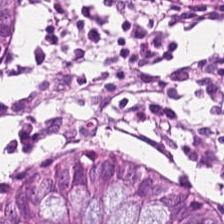FFPE. H&E-stained tissue section. Normal colon mucosa.
